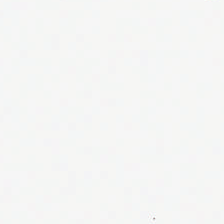Hematoxylin-and-eosin stained section · whole-slide-image patch — Empty field — background (no tissue).
